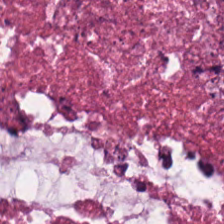The tissue class is cellular debris.
